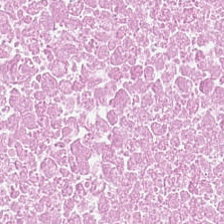H&E-stained tissue section. The classification is debris.
